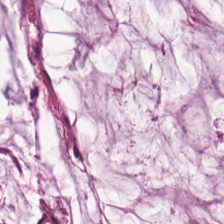H&E.
Finding → extracellular mucin.
